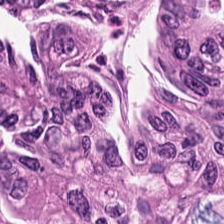Impression — tumor epithelium.
